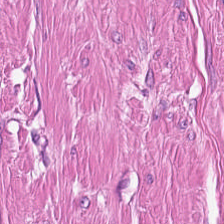Q: What is the predominant tissue type?
A: The field shows smooth muscle.
